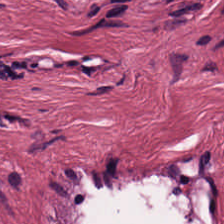Stain: H&E-stained tissue section.
Classification: desmoplastic stroma.
